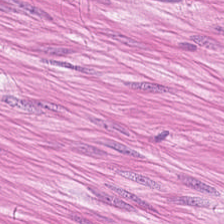Brightfield microscopy; hematoxylin and eosin; 0.5 µm per pixel.
{"tissue_type": "smooth-muscle tissue"}
